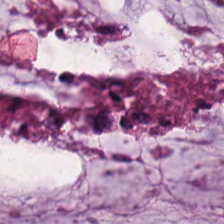Hematoxylin and eosin; brightfield microscopy; 224×224 px tile. Classification — extracellular mucin.
